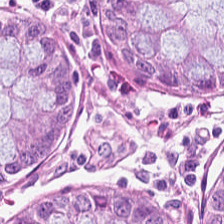Stain: hematoxylin-and-eosin stained section.
Tissue class: non-neoplastic colon mucosa.
